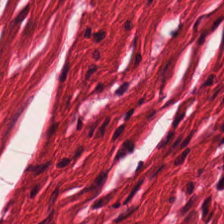Hematoxylin-and-eosin stained section. Q: What does this patch show?
A: This is muscularis.
